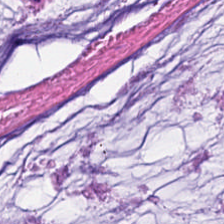Stain: hematoxylin and eosin.
Tissue type: mucin.
